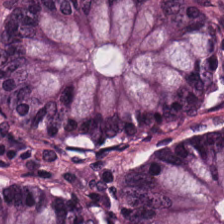H&E. Finding → benign colonic mucosa.
